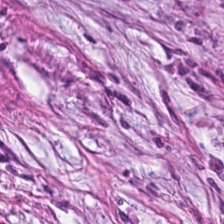The tissue type is tumor-associated stroma.
